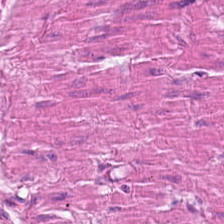Hematoxylin-and-eosin stained section — This field is smooth muscle.
